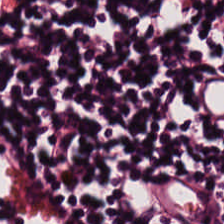Stain: H&E.
Classification: lymphocyte aggregate.
